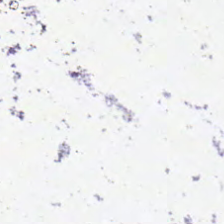This field is background (no tissue).
